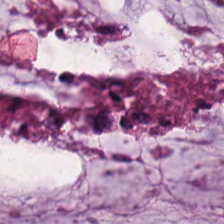Stain: hematoxylin and eosin.
Tissue: mucin.
